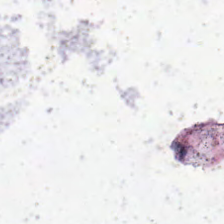Hematoxylin-and-eosin stained section — The field content is background (no tissue).
